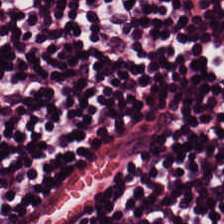Q: What tissue is shown?
A: The field shows lymphocytes.
